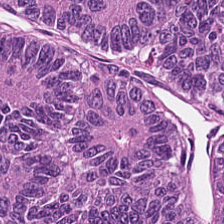Stain: H&E stain.
Classification: tumor epithelium.
